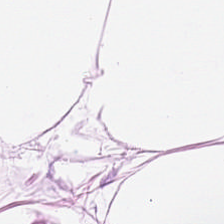Stain: H&E-stained tissue section.
Tissue: adipose tissue.
